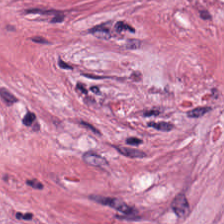Hematoxylin-and-eosin stained section · brightfield.
{"tissue_type": "tumor stroma"}
